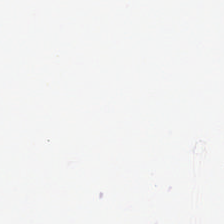Hematoxylin and eosin; FFPE; 0.5 microns per pixel — Q: What is shown in this field?
A: This is background (no tissue).
